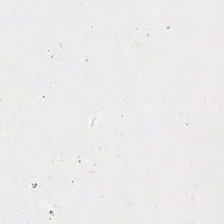224×224 px patch; H&E.
Background — no tissue in this field.
